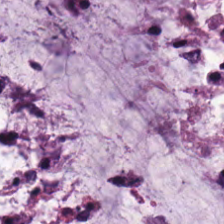Whole-slide-image patch; hematoxylin-and-eosin stained section — Histology → mucus.
